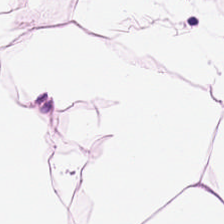Hematoxylin and eosin — This patch shows adipocytes.
